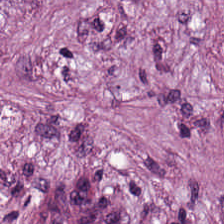Hematoxylin-and-eosin stained section. The predominant tissue is desmoplastic stroma.
